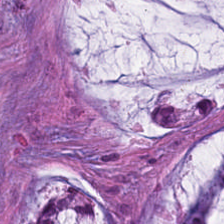Formalin-fixed paraffin-embedded section; 224×224 pixel tile; hematoxylin and eosin. This field is extracellular mucin.
